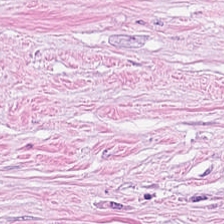H&E stain. The predominant tissue is desmoplastic stroma.
